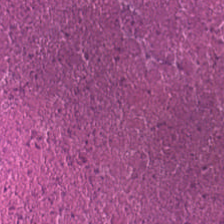H&E stain.
{"tissue_type": "cellular debris"}
